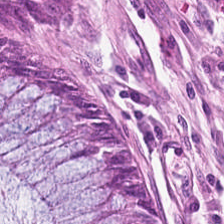Stain: hematoxylin and eosin.
Acquisition: WSI patch.
Tissue: normal colonic mucosa.
